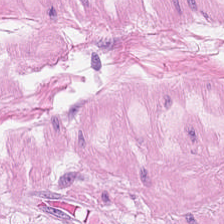H&E-stained tissue section. Tissue type = muscularis.
